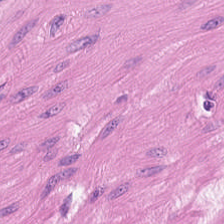224×224 px patch · H&E-stained tissue section · FFPE. The predominant tissue is smooth muscle.
